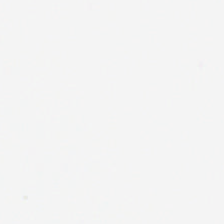Hematoxylin and eosin — {"content": "background (no tissue)"}
